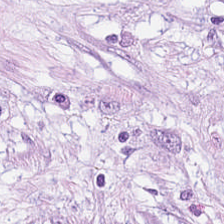The tissue here is mucin.
